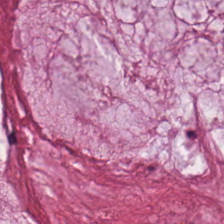Hematoxylin-and-eosin stained section · brightfield microscopy · 224×224 pixel tile. Showing mucin.
